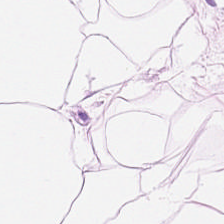Q: What type of tissue is this?
A: The field shows adipose.
